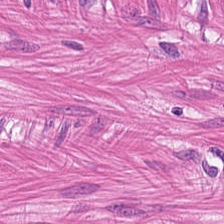0.5 microns per pixel; hematoxylin-and-eosin stained section. Q: What type of tissue is this?
A: The field shows muscularis.
